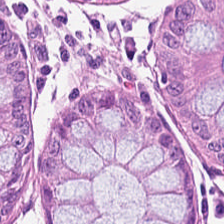H&E stain.
The predominant tissue is non-neoplastic colon mucosa.
